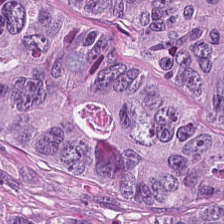Hematoxylin and eosin — The tissue is colorectal adenocarcinoma epithelium.
